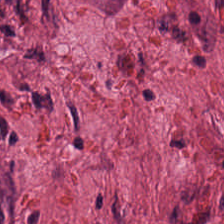Stain: H&E-stained tissue section.
Tissue type: tumor stroma.
